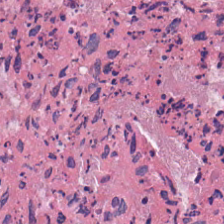Stain: hematoxylin-and-eosin stained section.
Resolution: 20× equivalent magnification.
Preparation: formalin-fixed paraffin-embedded section.
Classification: necrotic debris.
